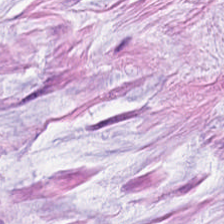FFPE · hematoxylin and eosin. Q: What is shown in this field?
A: It is extracellular mucin.
